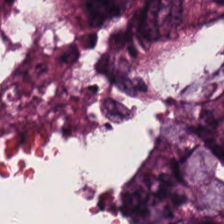224×224 px patch · H&E · brightfield microscopy — Predominantly tumor epithelium.
